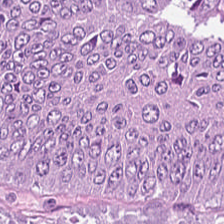H&E.
Histology — malignant epithelium.
